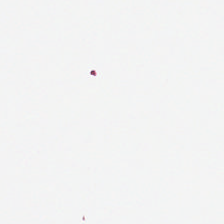Hematoxylin-and-eosin stained section. No tissue present; background only.
